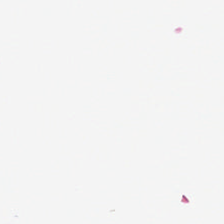Hematoxylin-and-eosin stained section. No tissue present; background only.
